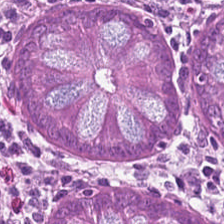Hematoxylin and eosin. 224×224 px patch.
Predominant tissue: non-neoplastic colon mucosa.
